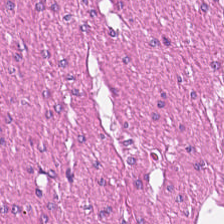20× equivalent magnification · H&E. {"tissue_type": "smooth-muscle tissue"}
